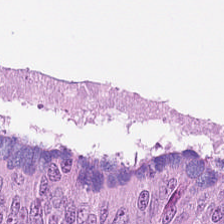Q: What is shown here?
A: The field shows adenocarcinoma.
